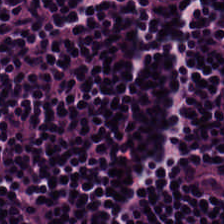Stain: H&E-stained tissue section.
Predominant tissue: lymphocytic infiltrate.
